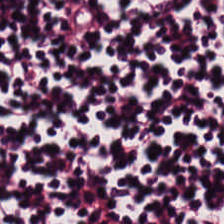Classification: lymphocytes.
